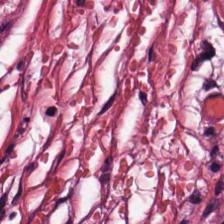H&E.
Predominantly tumor-associated stroma.
